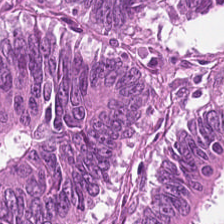Hematoxylin-and-eosin stained section. 20× equivalent magnification. Tissue type: adenocarcinoma.
